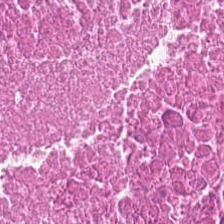Hematoxylin and eosin. 0.5 µm/px. Finding → necrotic debris.
